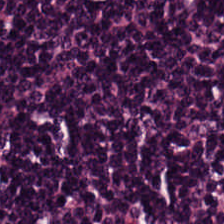Hematoxylin and eosin — Q: What tissue is shown?
A: This is lymphocytic infiltrate.
